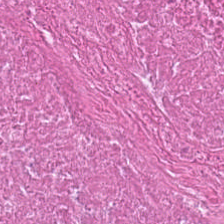Hematoxylin-and-eosin stained section · 0.5 µm per pixel. Tissue class — cellular debris.
